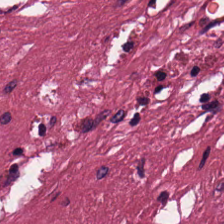H&E stain.
Showing tumor-associated stroma.
